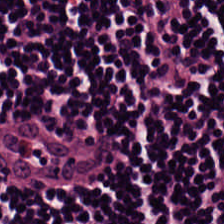Hematoxylin-and-eosin stained section.
Classification = lymphocyte aggregate.
